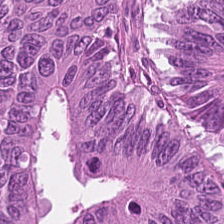Stain: H&E-stained tissue section.
Predominant tissue: colorectal adenocarcinoma epithelium.
